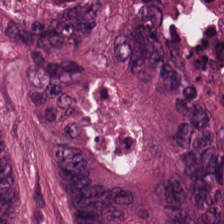The tissue type is malignant epithelium.
